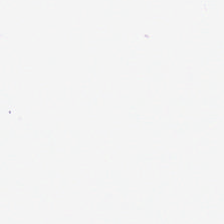Stain: hematoxylin and eosin.
Classification: empty background.
